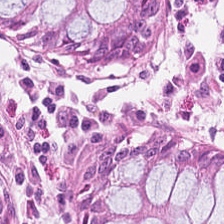H&E.
This field is benign colonic mucosa.
